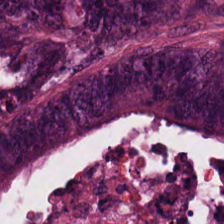Stain: hematoxylin and eosin.
Tissue class: malignant epithelium.
